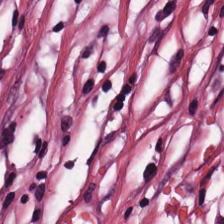The tissue here is tumor-associated stroma.
